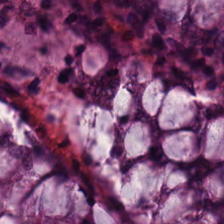H&E-stained tissue section. Whole-slide-image patch.
Finding → normal colon mucosa.
